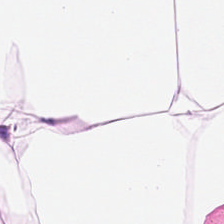Stain: H&E stain.
Predominant tissue: fat tissue.
